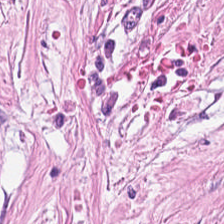Stain: H&E-stained tissue section.
Tissue type: tumor stroma.
